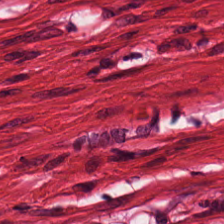0.5 µm/px. Hematoxylin and eosin — Impression → smooth-muscle tissue.
